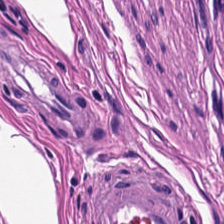Hematoxylin and eosin.
The tissue here is smooth muscle.
